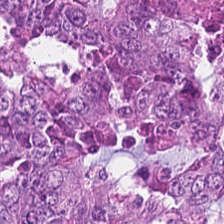224×224 pixel tile · H&E-stained tissue section — Histology → adenocarcinoma.
